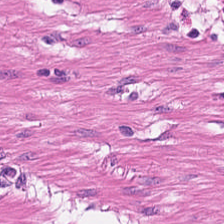224×224 px patch · FFPE tissue section · hematoxylin-and-eosin stained section. This field is muscularis.
